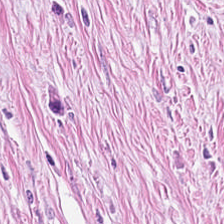The classification is desmoplastic stroma.
